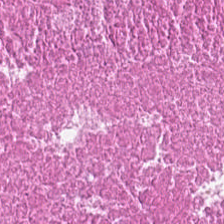H&E stain; 224×224 pixel tile; formalin-fixed paraffin-embedded section — Q: Classify this patch.
A: Debris.
